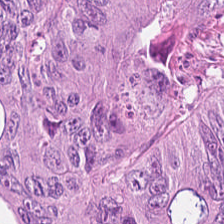WSI patch · hematoxylin and eosin.
Impression — colorectal adenocarcinoma.
